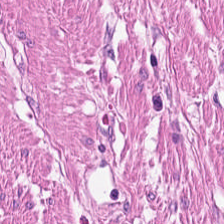Stain: hematoxylin and eosin.
Classification: smooth muscle.
